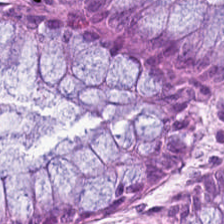H&E stain · 224×224 px tile — Classification = non-neoplastic colon mucosa.
